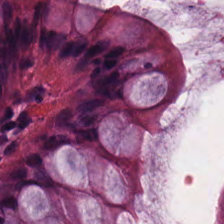Formalin-fixed paraffin-embedded section; H&E-stained tissue section.
The predominant tissue is normal colonic mucosa.
